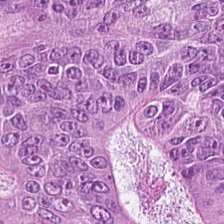224×224 pixel tile; 0.5 µm per pixel; hematoxylin and eosin — Predominantly adenocarcinoma.
